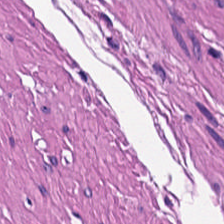Q: Identify the tissue.
A: The field shows muscularis.
